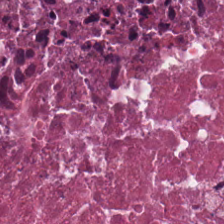{"tissue_type": "cellular debris"}
